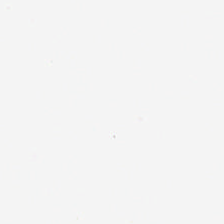H&E stain. Empty field — no tissue.
